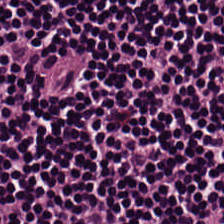Hematoxylin and eosin. Brightfield. This patch shows lymphoid infiltrate.
